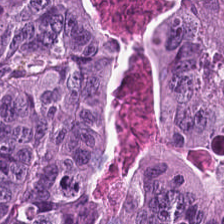The classification is adenocarcinoma.
